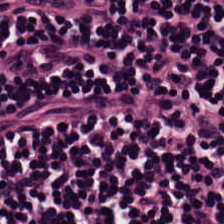H&E stain.
Classification: lymphoid infiltrate.
